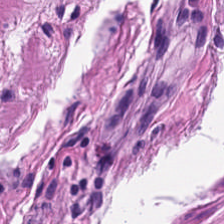Tissue: muscularis.
